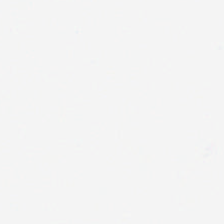Formalin-fixed paraffin-embedded section; hematoxylin-and-eosin stained section; 224×224 px patch. {"content": "no tissue"}
